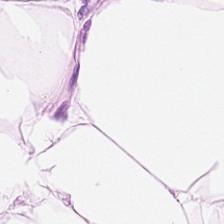224×224 px patch; 0.5 microns per pixel; H&E stain — The tissue is adipocytes.
